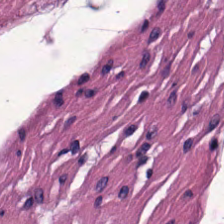Finding → muscularis.
